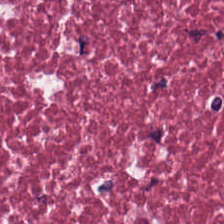Stain: hematoxylin and eosin.
Tissue class: desmoplastic stroma.
